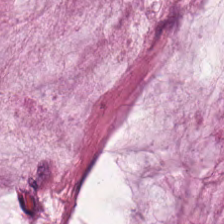H&E stain. Tissue type = mucin.
